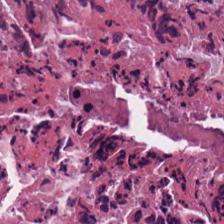Predominant tissue — necrotic debris.
